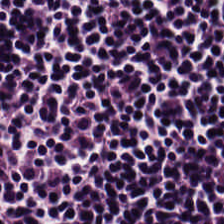H&E.
Q: What is shown here?
A: Lymphocytes.
